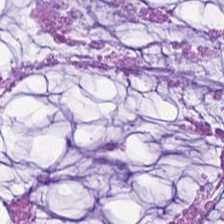{"tissue_type": "mucin"}
